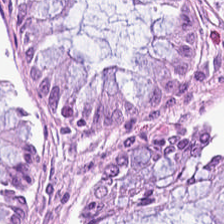FFPE; H&E-stained tissue section.
Showing benign colonic mucosa.
